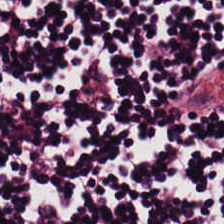WSI patch · hematoxylin-and-eosin stained section. The tissue here is lymphocytes.
